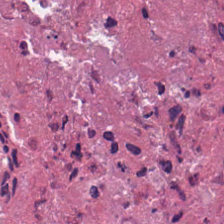H&E — This patch shows debris.
